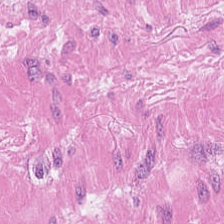Hematoxylin and eosin. Tissue type — smooth-muscle tissue.
